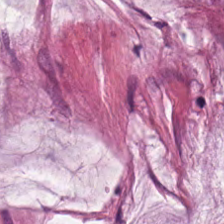224×224 px tile · H&E.
Showing mucus.
